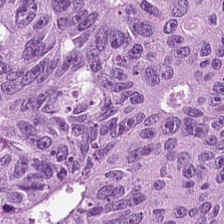H&E; FFPE; 224×224 px tile.
Showing tumor epithelium.
